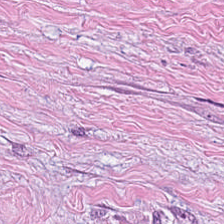Hematoxylin-and-eosin stained section.
Showing tumor stroma.
